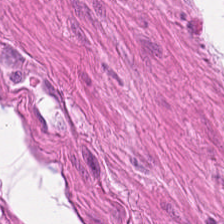Hematoxylin and eosin — {"tissue_type": "smooth-muscle tissue"}
